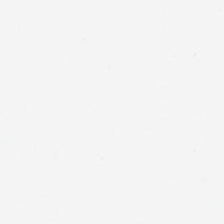Stain: hematoxylin and eosin.
Field content: background.
